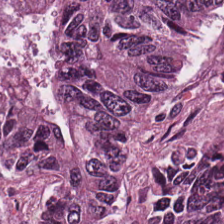Whole-slide-image patch · H&E-stained tissue section. This patch shows adenocarcinoma.
